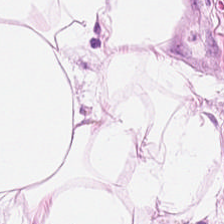H&E. 224×224 pixel tile.
The tissue here is adipose.
